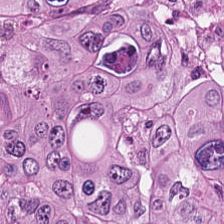H&E-stained tissue section.
Showing adenocarcinoma.
